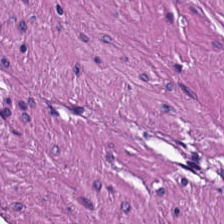H&E stain. This patch shows smooth muscle.
